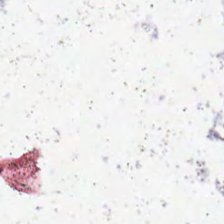FFPE · H&E stain.
Classification: no tissue.
